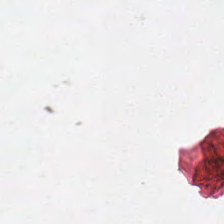Hematoxylin and eosin.
Impression — background (no tissue).
